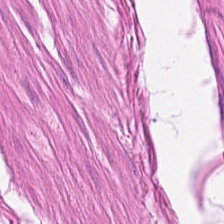H&E-stained tissue section. Q: What is shown in this field?
A: Muscularis.
